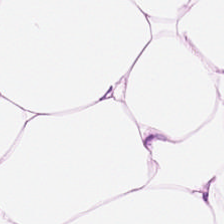Finding — fat tissue.
